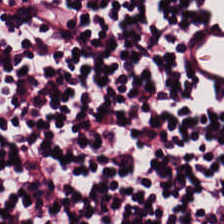FFPE tissue section. Hematoxylin-and-eosin stained section. WSI patch.
Tissue class — lymphocytes.
